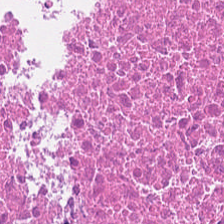{"tissue_type": "debris"}
